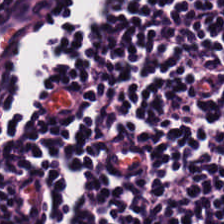Stain: H&E-stained tissue section.
Tissue type: lymphocytes.
